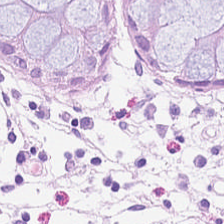Stain: hematoxylin-and-eosin stained section.
Preparation: formalin-fixed paraffin-embedded section.
Tile size: 224×224 px tile.
Tissue class: normal colonic mucosa.
